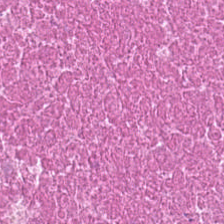Stain: hematoxylin-and-eosin stained section.
Tile size: 224×224 px tile.
Tissue: necrotic debris.
